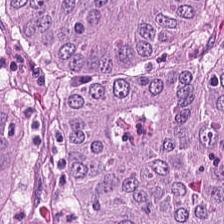Stain: H&E-stained tissue section.
Tile size: 224×224 px patch.
Acquisition: whole-slide-image patch.
Tissue type: colorectal adenocarcinoma epithelium.
